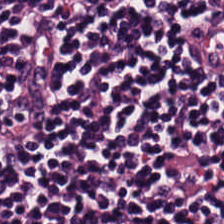Stain: H&E stain.
Preparation: FFPE tissue section.
Predominant tissue: lymphocytic infiltrate.
